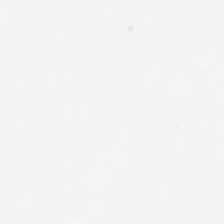No tissue present; background only.
